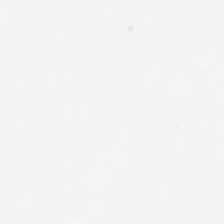No tissue present; background only.
